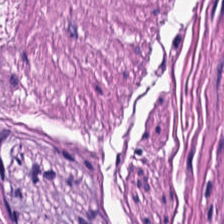H&E patch showing smooth-muscle tissue.
